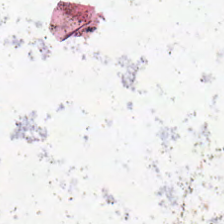Hematoxylin-and-eosin stained section. Content — background (no tissue).
